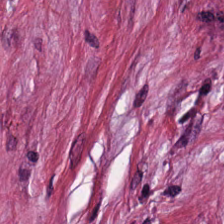Hematoxylin and eosin.
Predominantly cancer-associated stroma.
